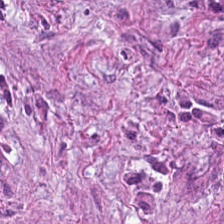0.5 µm/px · H&E stain. The predominant tissue is tumor-associated stroma.
